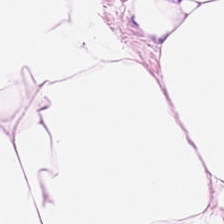H&E. Formalin-fixed paraffin-embedded section. Whole-slide-image patch.
Q: What is shown in this field?
A: It is adipose.
